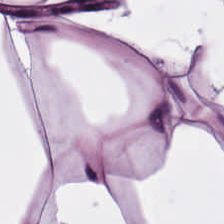Hematoxylin and eosin · 0.5 µm per pixel. Adipocytes.
